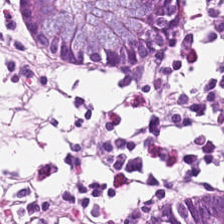Stain: H&E.
Tissue type: benign colonic mucosa.
